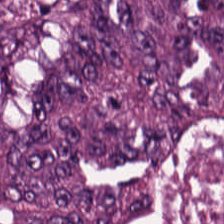Formalin-fixed paraffin-embedded section · hematoxylin-and-eosin stained section · 0.5 µm per pixel. Colorectal adenocarcinoma.
